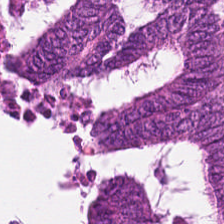H&E stain. Adenocarcinoma.
